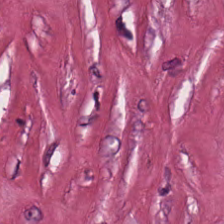H&E · 224×224 px tile · formalin-fixed paraffin-embedded section.
Predominant tissue — cancer-associated stroma.
